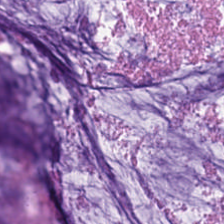Stain: hematoxylin-and-eosin stained section.
Tissue type: mucus.
